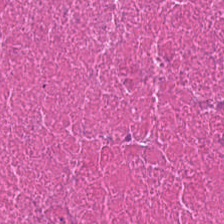Stain: H&E stain.
Classification: cellular debris.
